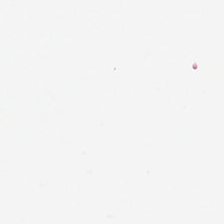Histology → background (no tissue).
